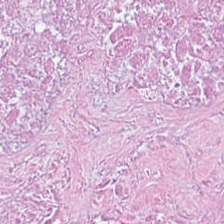H&E-stained tissue section — Q: What tissue type is shown here?
A: Necrotic debris.
